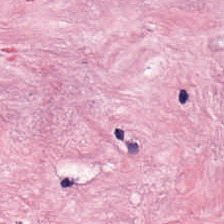224×224 pixel tile. FFPE. H&E-stained tissue section. Predominant tissue: tumor-associated stroma.
